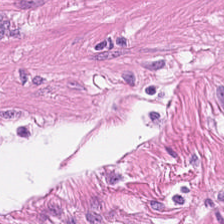224×224 px tile; H&E.
Predominantly smooth-muscle tissue.
